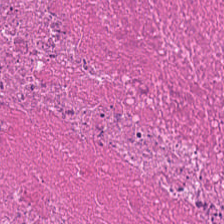Tissue class — debris.
